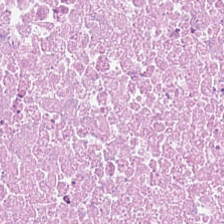FFPE tissue section · hematoxylin and eosin. Tissue type: cellular debris.
